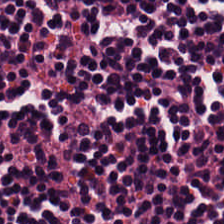224×224 px tile · H&E-stained tissue section · 20× equivalent magnification. Q: What tissue type is shown here?
A: This is lymphocytes.
